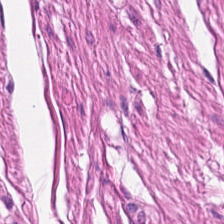The tissue here is muscularis.
